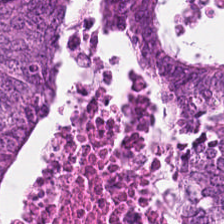H&E stain — The tissue here is adenocarcinoma.
